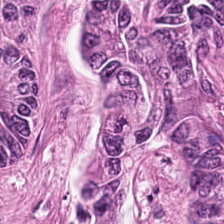H&E-stained tissue section. {"tissue_type": "tumor epithelium"}
